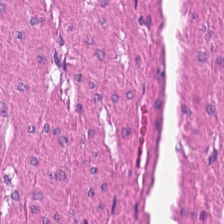0.5 µm/px · H&E stain. Q: What tissue type is shown here?
A: This is smooth-muscle tissue.
